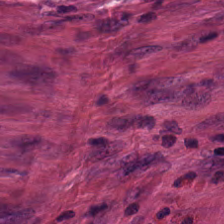0.5 µm/px · hematoxylin-and-eosin stained section. The classification is tumor-associated stroma.
